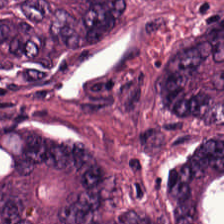Stain: H&E-stained tissue section.
Tissue: colorectal adenocarcinoma epithelium.
